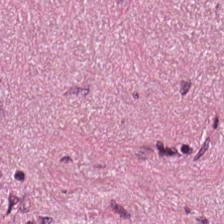Stain: H&E.
Resolution: 20× equivalent magnification.
Classification: desmoplastic stroma.
